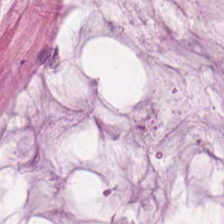Hematoxylin and eosin — Q: What does this patch show?
A: It is mucus.
